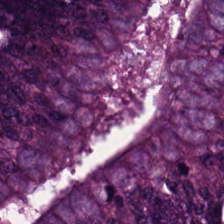Tissue class: colorectal adenocarcinoma.
